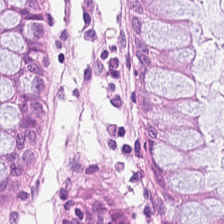Stain: hematoxylin-and-eosin stained section.
Tile size: 224×224 pixel tile.
Acquisition: brightfield microscopy.
Predominant tissue: non-neoplastic colon mucosa.
